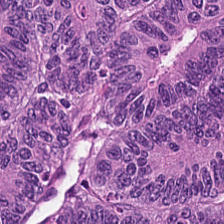Stain: hematoxylin and eosin.
Predominant tissue: tumor epithelium.
